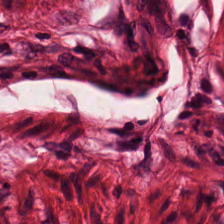H&E-stained tissue section. Predominantly muscularis.
